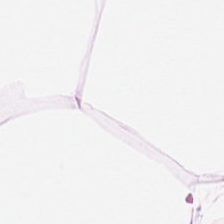H&E stain.
Showing fat tissue.
